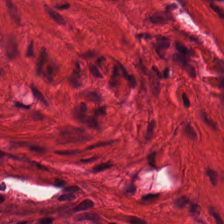Smooth muscle.
